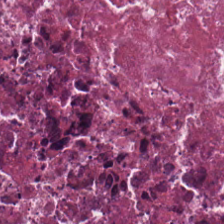Hematoxylin and eosin — The tissue is cellular debris.
